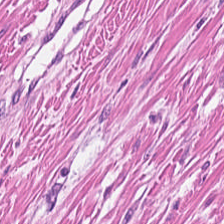FFPE; hematoxylin-and-eosin stained section. Histology — muscularis.
